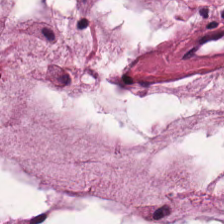Hematoxylin-and-eosin stained section · WSI patch — Predominant tissue — extracellular mucin.
